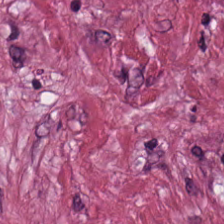Impression → desmoplastic stroma.
